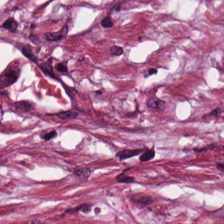Tissue class: tumor stroma.
